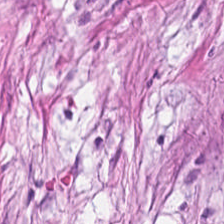H&E-stained tissue section. Tissue type — tumor stroma.
